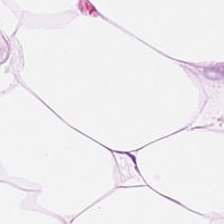Hematoxylin-and-eosin stained section.
The tissue class is adipose.
